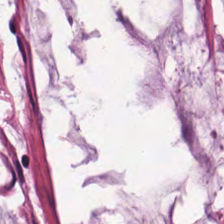H&E — {"tissue_type": "mucin"}
